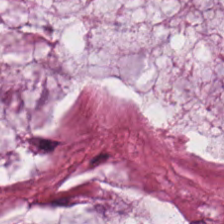H&E stain. Tissue type — extracellular mucin.
